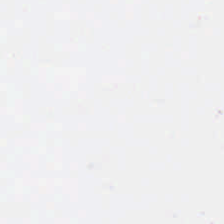FFPE tissue section. H&E-stained tissue section.
Background — no tissue in this field.
